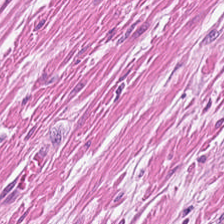FFPE tissue section; hematoxylin-and-eosin stained section; 0.5 µm/px — Impression → muscularis.
